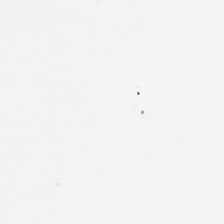Whole-slide-image patch. Hematoxylin-and-eosin stained section — This field is background (no tissue).
